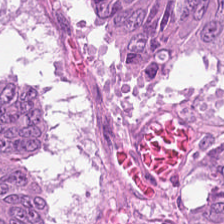Stain: H&E-stained tissue section.
Preparation: formalin-fixed paraffin-embedded section.
Tissue class: adenocarcinoma.
